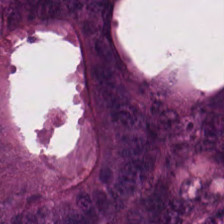Formalin-fixed paraffin-embedded section · 20× equivalent magnification · hematoxylin and eosin.
Tissue = colorectal adenocarcinoma.
